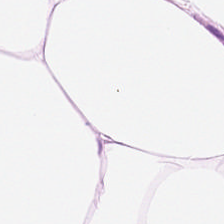Stain: H&E.
Acquisition: whole-slide-image patch.
Predominant tissue: adipocytes.
